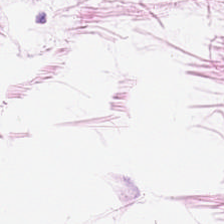Hematoxylin-and-eosin section: fat tissue.
